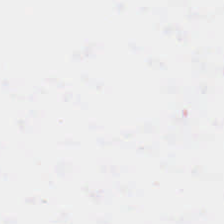Hematoxylin-and-eosin stained section. No tissue.
